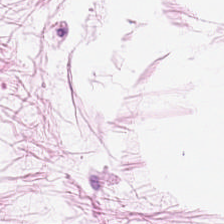224×224 px patch · formalin-fixed paraffin-embedded section · hematoxylin-and-eosin stained section. This field is adipose.
